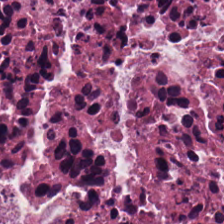224×224 px patch. 0.5 µm/px. Hematoxylin-and-eosin stained section.
The tissue is debris.
